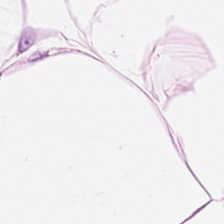Q: What does this patch show?
A: It is adipose.
